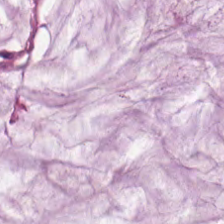Whole-slide-image patch · hematoxylin and eosin.
Q: What is shown in this field?
A: The field shows extracellular mucin.
